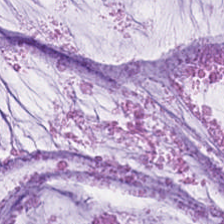Tissue class: extracellular mucin.
